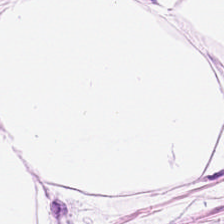224×224 pixel tile. Hematoxylin and eosin. This patch shows fat tissue.
